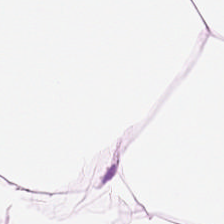Hematoxylin and eosin. Adipose.
